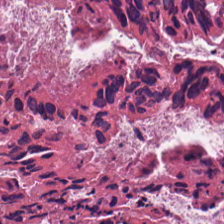H&E. 224×224 pixel tile. 20× equivalent magnification — The classification is cellular debris.
